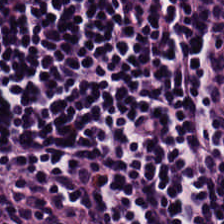Hematoxylin-and-eosin stained section; whole-slide-image patch — Histology — lymphocyte aggregate.
